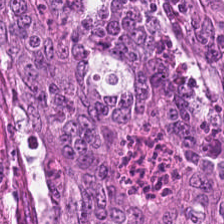Hematoxylin-and-eosin stained section. Tissue class — tumor epithelium.
